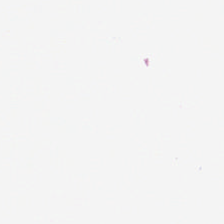H&E stain · FFPE tissue section — Q: What is shown in this field?
A: The field shows no tissue.
